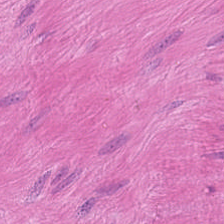H&E — Q: What tissue is shown?
A: Muscularis.
